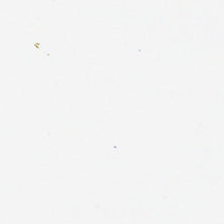H&E-stained tissue section. 224×224 pixel tile. 0.5 µm per pixel — {"content": "empty background"}
